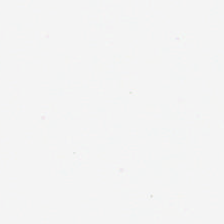Hematoxylin and eosin. Q: What is shown in this field?
A: The field shows background (no tissue).
